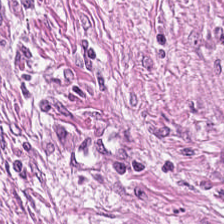Hematoxylin and eosin. Q: What is the predominant tissue type?
A: This is tumor-associated stroma.
